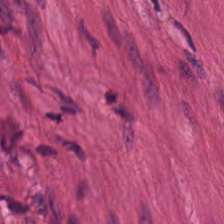Hematoxylin-and-eosin stained section. Q: What is shown in this field?
A: Smooth-muscle tissue.
